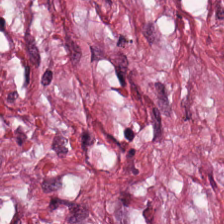H&E.
The predominant tissue is cancer-associated stroma.
